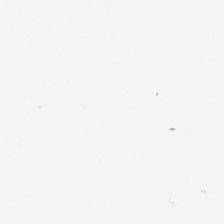Content — no tissue.
